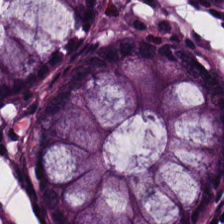224×224 px patch; H&E. Finding — normal colon mucosa.
